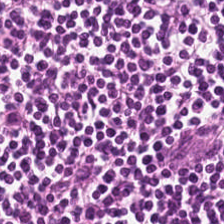224×224 pixel tile. H&E. FFPE tissue section. Histology → lymphoid infiltrate.
